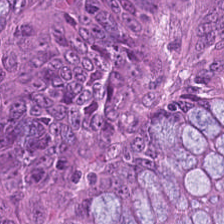H&E; 224×224 px patch. Tumor epithelium.
